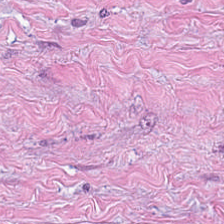Hematoxylin-and-eosin stained section.
The tissue is cancer-associated stroma.
